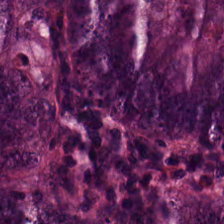Stain: hematoxylin and eosin.
Tissue: tumor epithelium.
